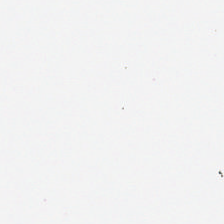Stain: H&E stain.
Acquisition: brightfield.
Tile size: 224×224 px tile.
Field content: background.
